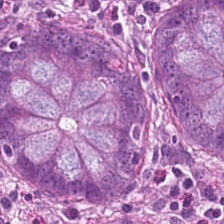H&E stain; formalin-fixed paraffin-embedded section; 0.5 µm/px — Predominantly benign colonic mucosa.
